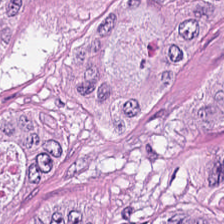20× equivalent magnification · whole-slide-image patch · H&E.
Tissue — colorectal adenocarcinoma epithelium.
